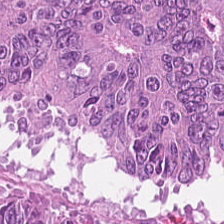H&E-stained tissue section. 224×224 px tile. Q: What does this patch show?
A: It is malignant epithelium.
